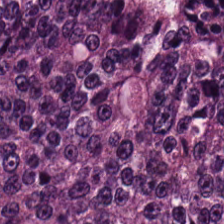Tumor epithelium.
